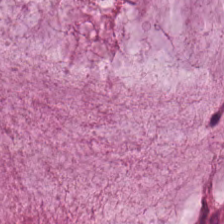H&E-stained tissue section · brightfield microscopy · FFPE tissue section.
Tissue — extracellular mucin.
